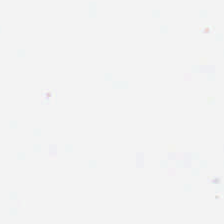Q: What does this patch show?
A: It is no tissue.
